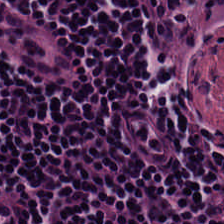H&E-stained tissue section — Predominant tissue = lymphocytes.
